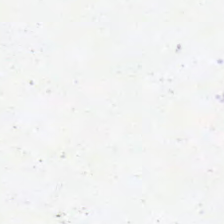Hematoxylin and eosin.
Empty field — background (no tissue).
